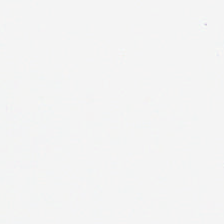H&E-stained tissue section · 20× equivalent magnification. Finding — background.
